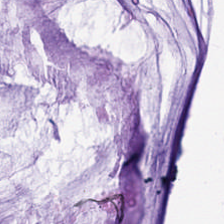Whole-slide-image patch · FFPE tissue section · H&E — The predominant tissue is mucin.
